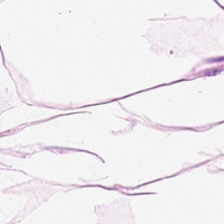Q: Classify this patch.
A: This is adipocytes.
